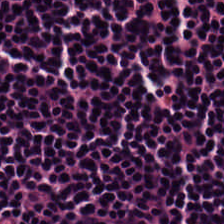H&E — Q: What is the predominant tissue type?
A: This is lymphocytes.
